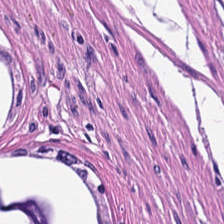Hematoxylin and eosin.
This patch shows smooth-muscle tissue.
